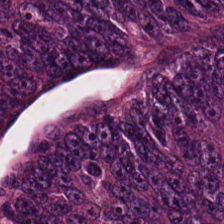H&E stain — Q: What is shown here?
A: Tumor epithelium.
